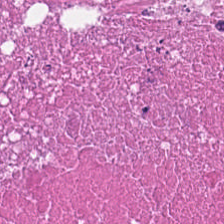20× equivalent magnification; H&E stain; WSI patch.
The predominant tissue is necrotic debris.
